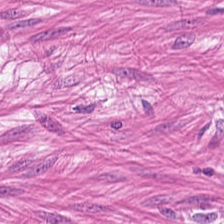Impression → smooth muscle.
